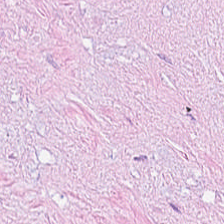224×224 px patch. H&E.
Q: What does this patch show?
A: Desmoplastic stroma.
